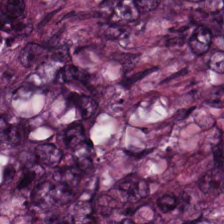The tissue type is adenocarcinoma.
